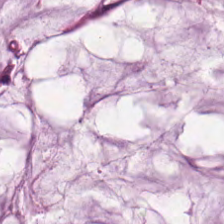H&E-stained tissue section.
The tissue here is extracellular mucin.
